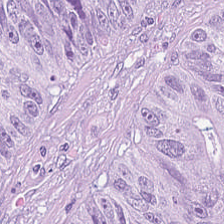H&E-stained tissue section. The predominant tissue is colorectal adenocarcinoma epithelium.
